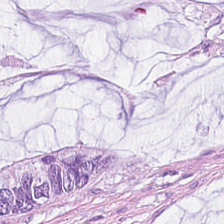Hematoxylin and eosin.
This field is extracellular mucin.
